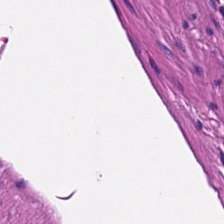224×224 pixel tile; hematoxylin and eosin; 0.5 µm/px.
The predominant tissue is muscularis.
